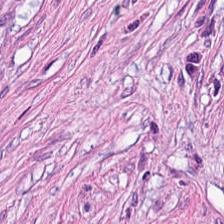224×224 pixel tile · brightfield microscopy · hematoxylin-and-eosin stained section — This patch shows tumor-associated stroma.
